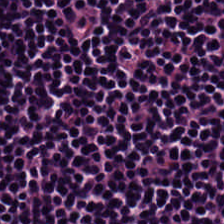0.5 µm/px. H&E-stained tissue section.
This field is lymphoid infiltrate.
